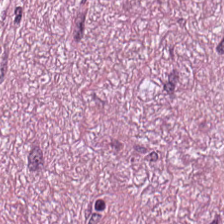H&E-stained tissue section — The tissue here is cancer-associated stroma.
